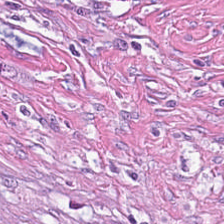The predominant tissue is tumor stroma.
